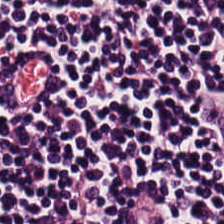Brightfield microscopy; 0.5 microns per pixel; hematoxylin and eosin.
Q: Identify the tissue.
A: This is lymphoid infiltrate.
